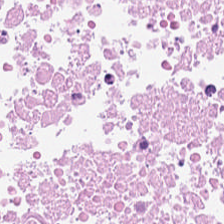Stain: hematoxylin and eosin.
Tissue class: cellular debris.
